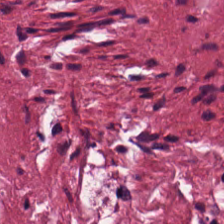Finding → desmoplastic stroma.
